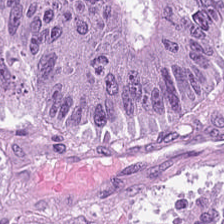Hematoxylin-and-eosin stained section.
Tumor epithelium.
